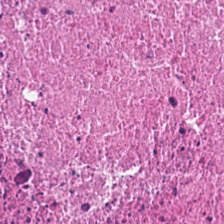Impression — necrotic debris.
